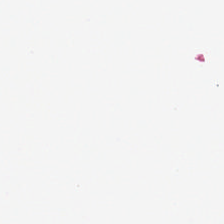224×224 px tile; H&E stain. Q: Classify this patch.
A: It is empty background.
